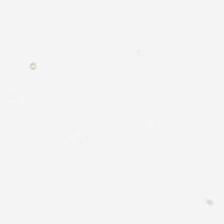Hematoxylin-and-eosin stained section. This field is background (no tissue).
